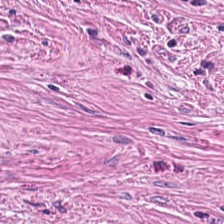Whole-slide-image patch; hematoxylin-and-eosin stained section — Desmoplastic stroma.
